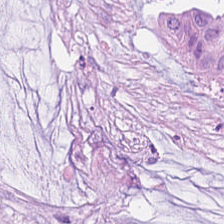{"tissue_type": "mucus"}
